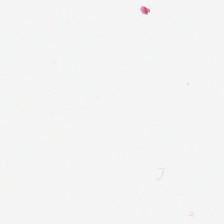Whole-slide-image patch. 0.5 µm/px. Hematoxylin-and-eosin stained section — Empty background.
